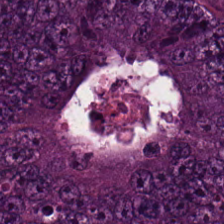Hematoxylin and eosin. Tissue type — tumor epithelium.
